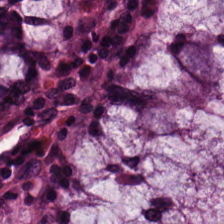Stain: H&E-stained tissue section.
Tissue type: non-neoplastic colon mucosa.
